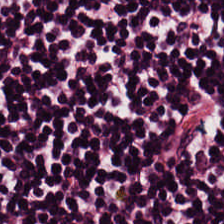0.5 µm/px · FFPE tissue section · H&E — This field is lymphocytes.
